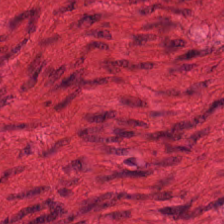H&E.
Showing smooth muscle.
